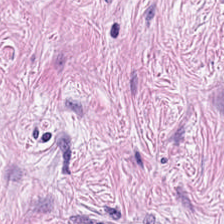Finding → tumor stroma.
